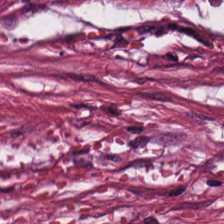H&E-stained tissue section.
This field is tumor stroma.
